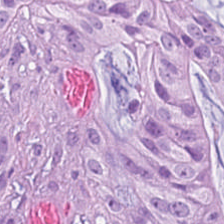Hematoxylin and eosin. Q: What tissue is shown?
A: It is colorectal adenocarcinoma epithelium.
